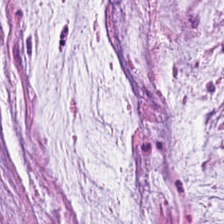H&E.
Predominantly mucin.
